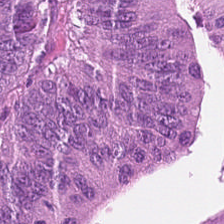Stain: hematoxylin-and-eosin stained section.
Classification: adenocarcinoma.
